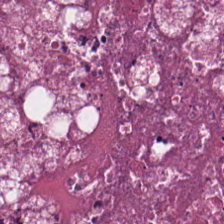The predominant tissue is necrotic debris.
